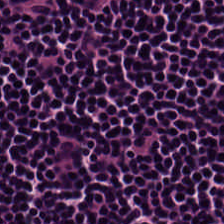H&E. Predominant tissue = lymphocyte aggregate.
